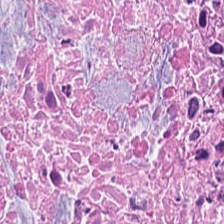Q: Classify this patch.
A: It is cellular debris.
